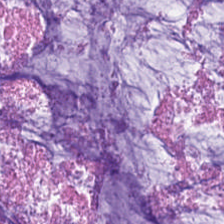Stain: H&E stain.
Tissue class: mucin.
